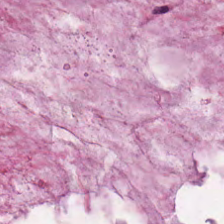The tissue type is mucin.
